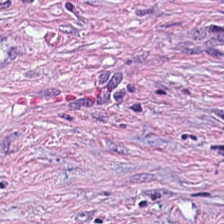H&E stain — Showing tumor stroma.
